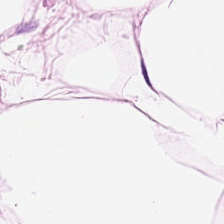Hematoxylin and eosin. WSI patch — Classification — fat tissue.
